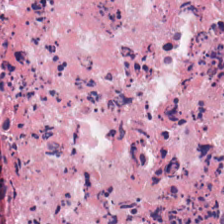Brightfield microscopy. H&E-stained tissue section. Finding → cellular debris.
